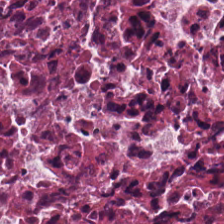Hematoxylin and eosin — This patch shows necrotic debris.
